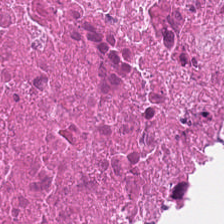Hematoxylin-and-eosin stained section — Finding → debris.
